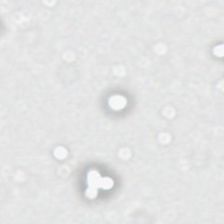Q: What is shown here?
A: It is background (no tissue).
